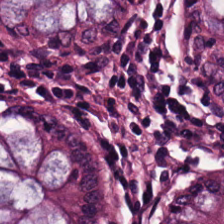Hematoxylin-and-eosin stained section. WSI patch. Formalin-fixed paraffin-embedded section.
Q: Classify this patch.
A: It is non-neoplastic colon mucosa.
